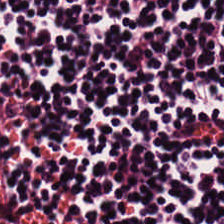H&E.
Showing lymphocyte aggregate.
